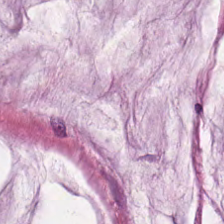Hematoxylin and eosin — The classification is mucus.
